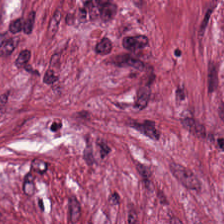H&E · 20× equivalent magnification · 224×224 pixel tile. Tissue type — tumor-associated stroma.
